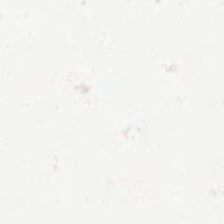H&E · 0.5 µm per pixel · FFPE — Background.
